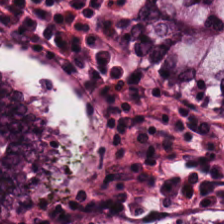H&E-stained tissue section. Tissue: normal colon mucosa.
